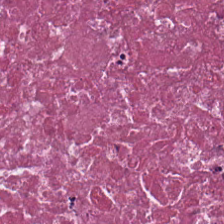H&E; 0.5 µm per pixel. Finding — cellular debris.
